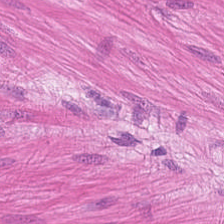{"tissue_type": "smooth muscle"}
